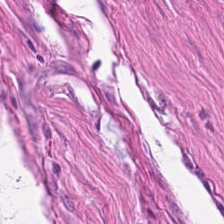H&E-stained tissue section. Q: What is shown in this field?
A: This is smooth muscle.
